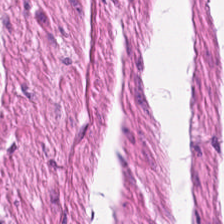H&E.
This patch shows muscularis.
